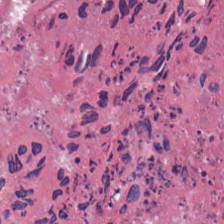Stain: H&E stain.
Predominant tissue: debris.
